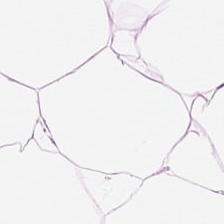224×224 px patch; FFPE; hematoxylin-and-eosin stained section.
The predominant tissue is adipose.
